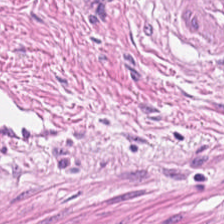H&E-stained tissue section · 224×224 pixel tile · FFPE tissue section. Showing smooth-muscle tissue.
